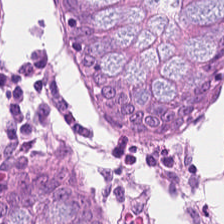H&E-stained tissue section · FFPE · 224×224 pixel tile. {"tissue_type": "benign colonic mucosa"}
